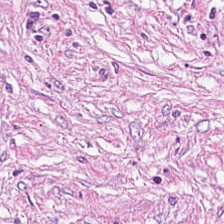Tissue type — tumor-associated stroma.
